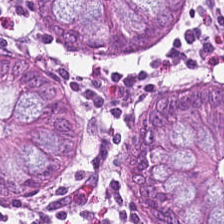H&E stain; brightfield; 224×224 pixel tile. This field is normal colon mucosa.
